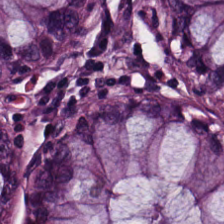Hematoxylin-and-eosin stained section.
Q: What is shown here?
A: Normal colonic mucosa.
